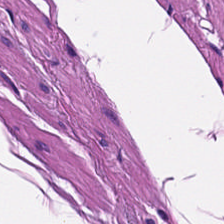H&E stain.
This field is smooth muscle.
